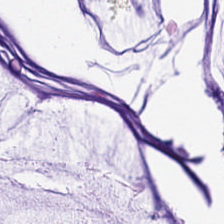224×224 px tile; hematoxylin and eosin. The classification is extracellular mucin.
